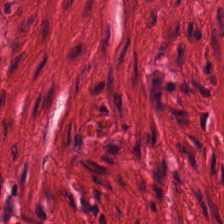FFPE tissue section · H&E.
Predominantly muscularis.
